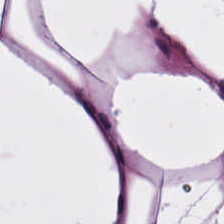Histology — fat tissue.
